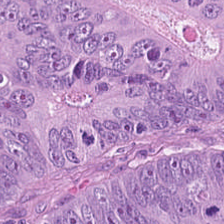Stain: H&E-stained tissue section.
Tissue: malignant epithelium.
